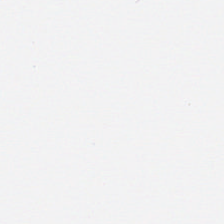Histology — no tissue.
